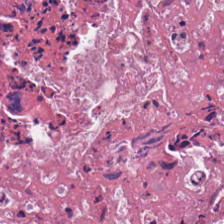Hematoxylin and eosin · 0.5 µm per pixel · 224×224 px patch.
The tissue class is cellular debris.
